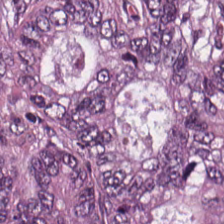FFPE tissue section · brightfield microscopy · H&E — Tissue = malignant epithelium.
